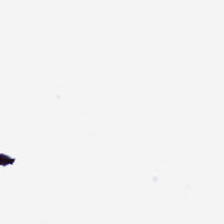Hematoxylin and eosin.
No tissue present; background only.
